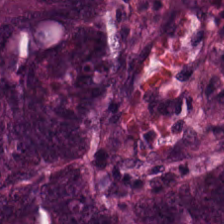H&E · 224×224 px patch · brightfield microscopy — The tissue is colorectal adenocarcinoma.
